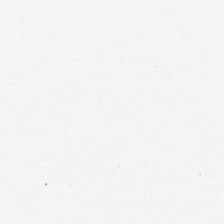Hematoxylin and eosin; brightfield microscopy; formalin-fixed paraffin-embedded section — Q: What does this patch show?
A: This is background.
